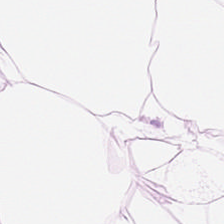0.5 µm/px · 224×224 px patch · H&E — Adipocytes.
